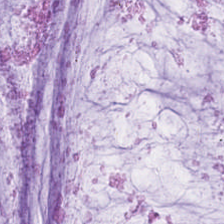Whole-slide-image patch. 224×224 px tile. H&E-stained tissue section.
This patch shows mucus.
